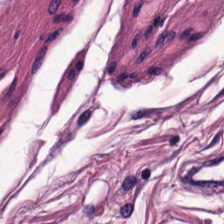Brightfield microscopy · hematoxylin-and-eosin stained section · 20× equivalent magnification — This patch shows smooth muscle.
